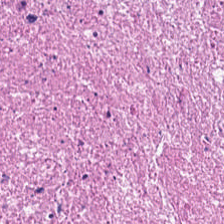FFPE. Hematoxylin and eosin. 224×224 pixel tile — Necrotic debris.
